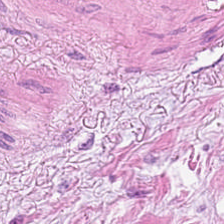WSI patch; hematoxylin and eosin; 224×224 pixel tile — Tumor-associated stroma.
